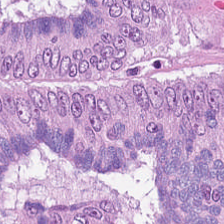0.5 µm per pixel; 224×224 px patch; H&E stain. This field is colorectal adenocarcinoma epithelium.
